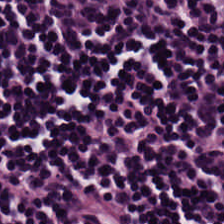Hematoxylin-and-eosin stained section; FFPE — The classification is lymphoid infiltrate.
